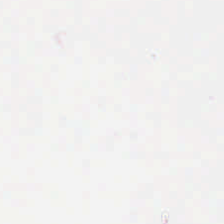H&E. Histology → empty background.
